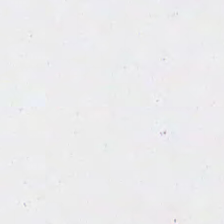H&E-stained tissue section. Q: Classify this patch.
A: The field shows no tissue.
